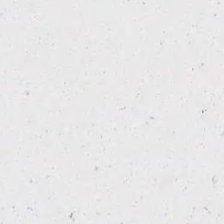Brightfield microscopy · 224×224 px tile · H&E-stained tissue section.
The classification is background (no tissue).
